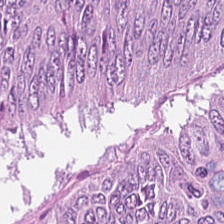H&E stain; WSI patch — This patch shows colorectal adenocarcinoma.
